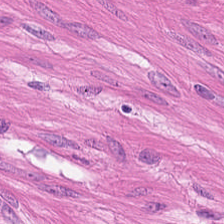Stain: H&E.
Acquisition: brightfield microscopy.
Tissue type: smooth-muscle tissue.
